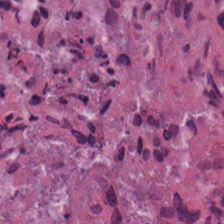Stain: H&E stain.
Resolution: 0.5 µm per pixel.
Tissue: debris.
